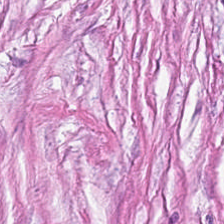Hematoxylin and eosin. Brightfield microscopy.
The tissue is tumor stroma.
